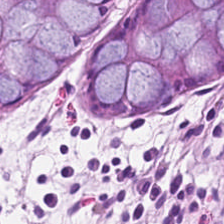Stain: hematoxylin and eosin.
Tissue type: benign colonic mucosa.
